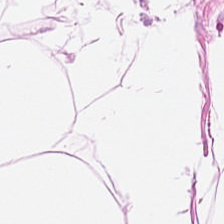Brightfield. Hematoxylin-and-eosin stained section.
This patch shows adipose.
